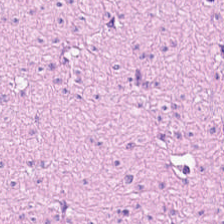H&E stain — Finding — smooth muscle.
